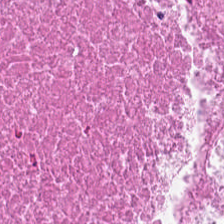H&E-stained tissue section.
Tissue type: debris.
